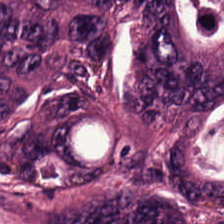Hematoxylin-and-eosin stained section. Q: What is shown here?
A: The field shows malignant epithelium.
